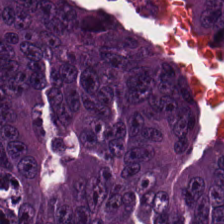{"tissue_type": "colorectal adenocarcinoma epithelium"}
